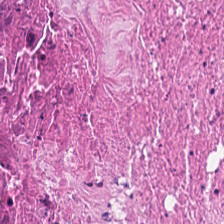H&E stain — This patch shows cellular debris.
